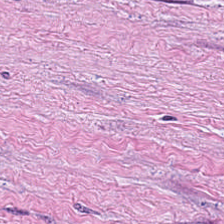H&E.
Tissue type = tumor-associated stroma.
